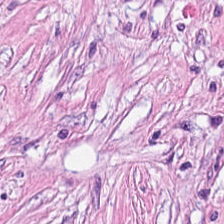Stain: hematoxylin and eosin.
Tissue: tumor-associated stroma.
